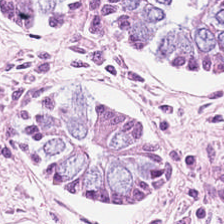H&E-stained tissue section · 0.5 microns per pixel. Q: What is shown in this field?
A: The field shows non-neoplastic colon mucosa.
